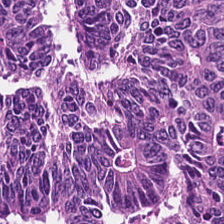Tissue — adenocarcinoma.
